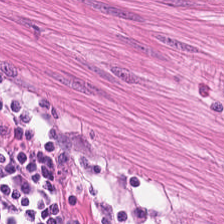H&E stain · 224×224 pixel tile · whole-slide-image patch — The tissue class is smooth-muscle tissue.
